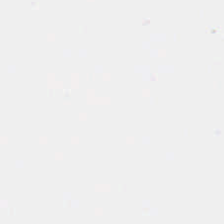H&E. Q: What is shown in this field?
A: It is empty background.
